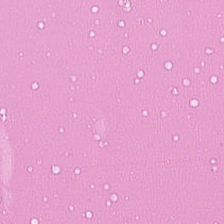Histology — cellular debris.
